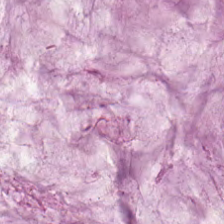H&E stain.
Tissue class — extracellular mucin.
